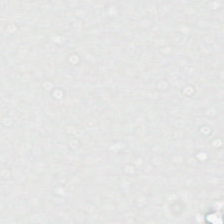224×224 px patch · H&E stain · 0.5 microns per pixel — Empty field — background (no tissue).
